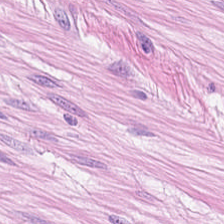Hematoxylin-and-eosin stained section.
This patch shows muscularis.
